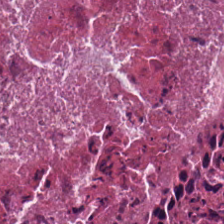Histology — necrotic debris.
